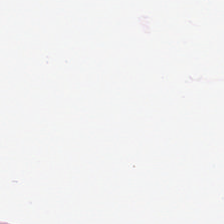H&E-stained tissue section — Q: What tissue type is shown here?
A: Adipose.
